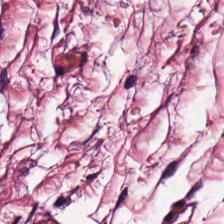20× equivalent magnification · FFPE tissue section · H&E — This patch shows tumor-associated stroma.
